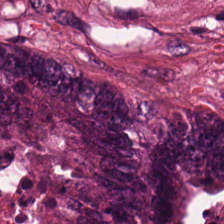Brightfield microscopy · hematoxylin-and-eosin stained section. The predominant tissue is necrotic debris.
